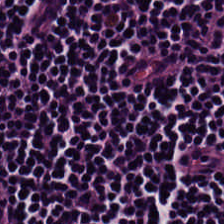224×224 pixel tile; hematoxylin and eosin. The predominant tissue is lymphocytes.
